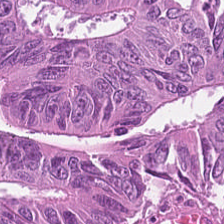20× equivalent magnification; H&E stain; brightfield. Q: What tissue type is shown here?
A: This is adenocarcinoma.
